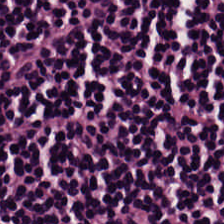Stain: hematoxylin and eosin.
Tissue type: lymphocyte aggregate.
